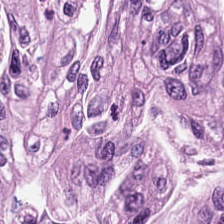FFPE tissue section; H&E; whole-slide-image patch.
Impression → malignant epithelium.
